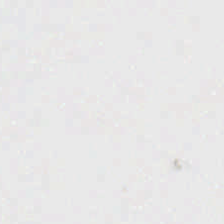H&E stain.
This patch shows background (no tissue).
